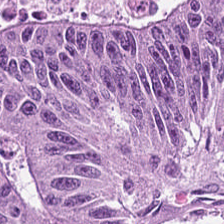Stain: H&E.
Tissue: colorectal adenocarcinoma epithelium.
